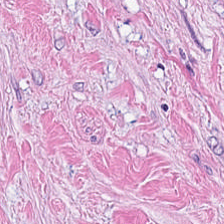H&E; 0.5 microns per pixel. Predominantly tumor stroma.
